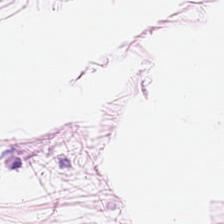H&E-stained tissue section. This field is adipocytes.
